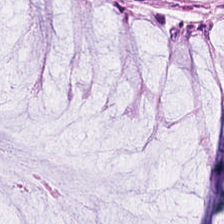H&E-stained tissue section. Whole-slide-image patch. 20× equivalent magnification. The tissue here is normal colon mucosa.
